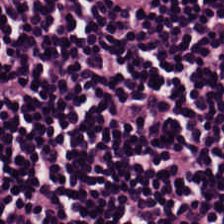Lymphocytes.
